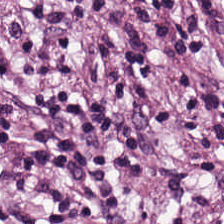Hematoxylin-and-eosin stained section.
Predominantly tumor stroma.
